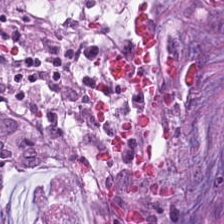Hematoxylin-and-eosin stained section — Tissue class = extracellular mucin.
